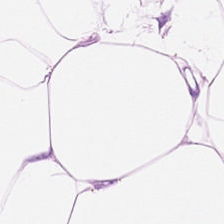Classification = adipocytes.
